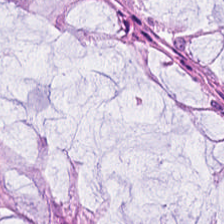0.5 microns per pixel; H&E-stained tissue section.
Q: Classify this patch.
A: The field shows benign colonic mucosa.
